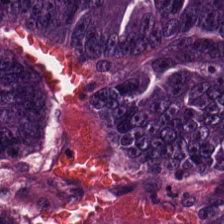Hematoxylin-and-eosin stained section · FFPE tissue section — Tissue class — adenocarcinoma.
